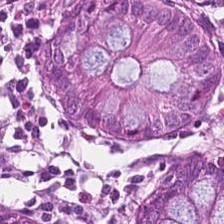H&E stain; WSI patch — Finding → normal colonic mucosa.
